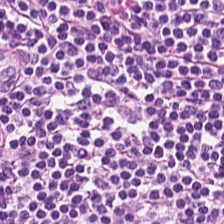Hematoxylin-and-eosin stained section. Impression → lymphocyte aggregate.
